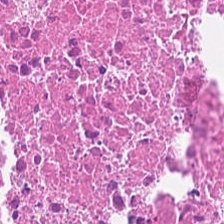H&E-stained tissue section — Necrotic debris.
